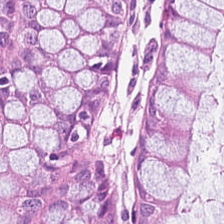H&E-stained tissue section. 224×224 pixel tile. Whole-slide-image patch — Q: Classify this patch.
A: This is non-neoplastic colon mucosa.
